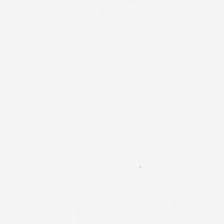H&E.
Q: Classify this patch.
A: It is empty background.
